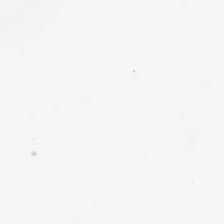Hematoxylin and eosin.
No tissue present; background only.
